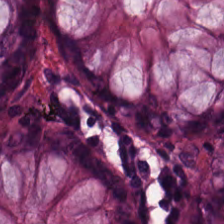224×224 px patch; FFPE; H&E-stained tissue section.
Histology → normal colonic mucosa.
